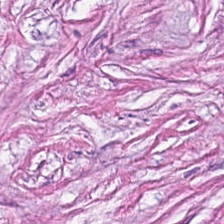H&E.
Classification — tumor stroma.
